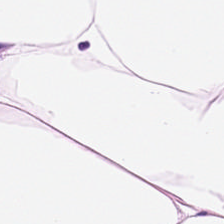0.5 microns per pixel. H&E stain — Q: What does this patch show?
A: It is adipose tissue.
